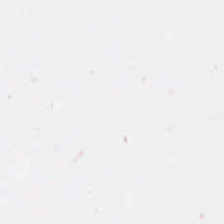Stain: hematoxylin-and-eosin stained section.
Resolution: 0.5 µm/px.
Tile size: 224×224 px patch.
Field content: no tissue.
